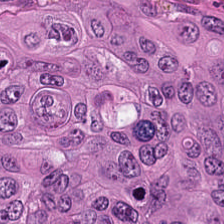H&E-stained tissue section — Showing colorectal adenocarcinoma epithelium.
